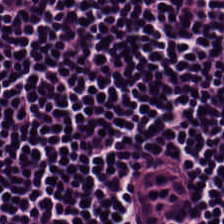Hematoxylin and eosin.
The predominant tissue is lymphocytes.
